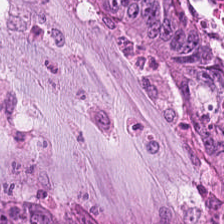H&E-stained tissue section — This patch shows colorectal adenocarcinoma.
